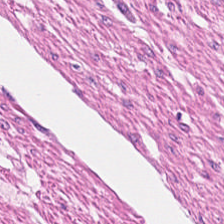H&E-stained tissue section.
The predominant tissue is muscularis.
